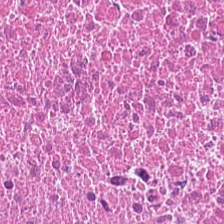H&E stain; WSI patch — Tissue type = necrotic debris.
